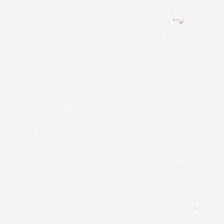Stain: hematoxylin-and-eosin stained section.
Content: no tissue.
